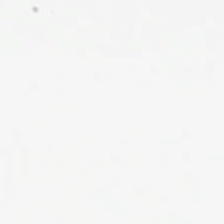Hematoxylin-and-eosin stained section. No tissue present; background only.
